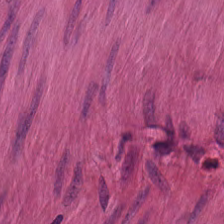Hematoxylin-and-eosin stained section · 20× equivalent magnification.
{"tissue_type": "smooth-muscle tissue"}
